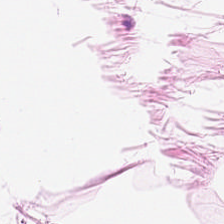Formalin-fixed paraffin-embedded section. Brightfield. Hematoxylin and eosin — Classification — adipocytes.
